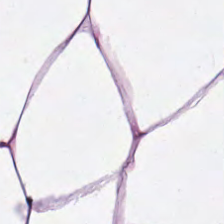Classification = adipose.
